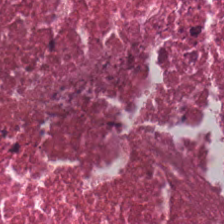Predominant tissue: cellular debris.
